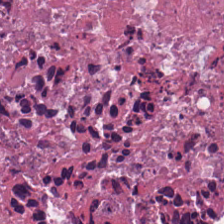Formalin-fixed paraffin-embedded section; hematoxylin-and-eosin stained section. This field is cellular debris.
